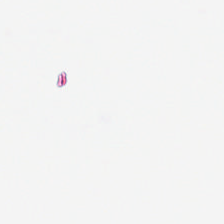WSI patch. H&E stain.
Field content = no tissue.
